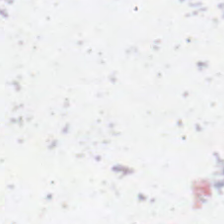Background — no tissue in this field.
